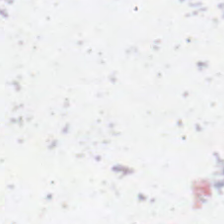Background — no tissue in this field.
